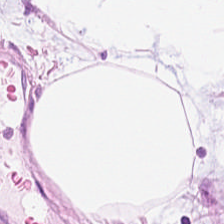0.5 microns per pixel · H&E-stained tissue section · FFPE — Impression — adipocytes.
